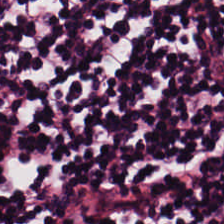Hematoxylin and eosin — The classification is lymphoid infiltrate.
